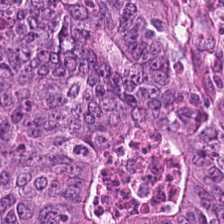Q: What is shown in this field?
A: Colorectal adenocarcinoma.
